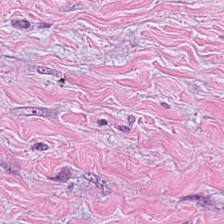H&E; 0.5 microns per pixel. {"tissue_type": "tumor stroma"}
